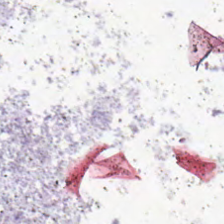Whole-slide-image patch · H&E stain. Empty field — background.
